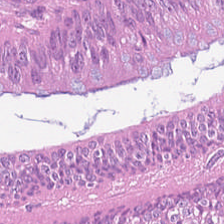Q: What type of tissue is this?
A: The field shows colorectal adenocarcinoma.
